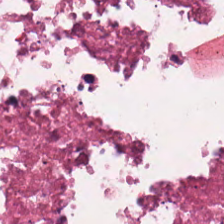Formalin-fixed paraffin-embedded section; H&E; 224×224 pixel tile — Predominantly necrotic debris.
